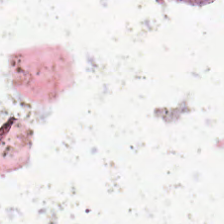H&E-stained tissue section. 0.5 µm/px.
Impression — background.
